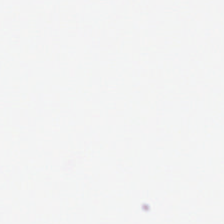H&E-stained tissue section.
Empty field — empty background.
